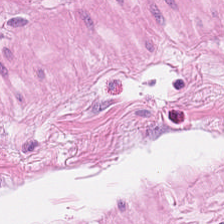Brightfield; H&E-stained tissue section; 20× equivalent magnification — This field is smooth-muscle tissue.
